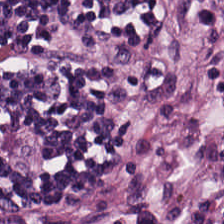H&E stain — This field is lymphocyte aggregate.
